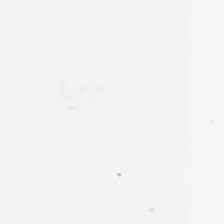Field content = background.
